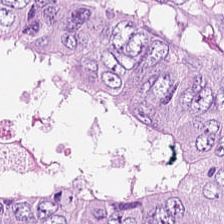Q: What tissue is shown?
A: This is malignant epithelium.
